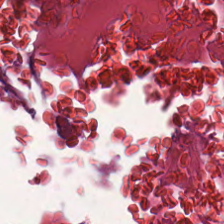Stain: H&E-stained tissue section.
Predominant tissue: necrotic debris.
